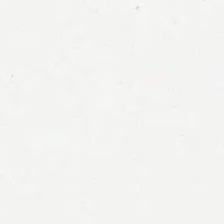Hematoxylin and eosin · 0.5 µm per pixel.
{"content": "background (no tissue)"}
